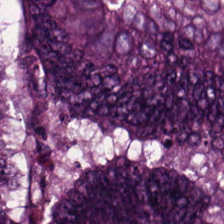Q: What is shown here?
A: Colorectal adenocarcinoma.
